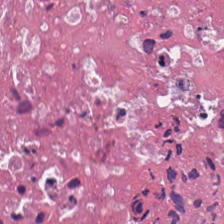H&E stain — The tissue type is debris.
